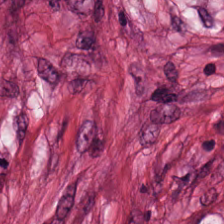H&E-stained tissue section · 224×224 px tile — Histology — desmoplastic stroma.
